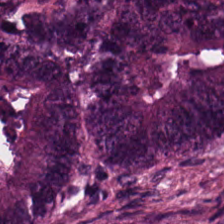The predominant tissue is malignant epithelium.
